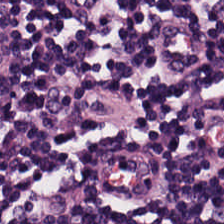Hematoxylin-and-eosin stained section.
Classification: lymphoid infiltrate.
